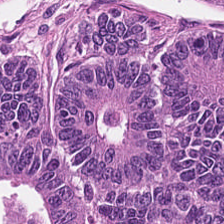Stain: H&E-stained tissue section.
Tissue class: adenocarcinoma.
